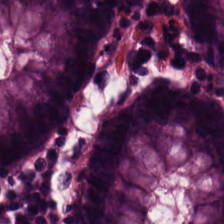H&E patch showing non-neoplastic colon mucosa.
